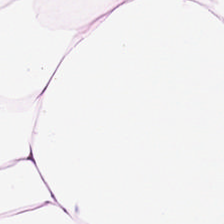H&E. Histology → adipose.
